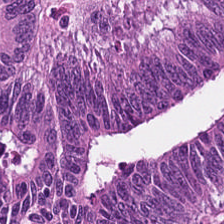Formalin-fixed paraffin-embedded section · H&E-stained tissue section · 0.5 µm per pixel.
The tissue here is colorectal adenocarcinoma.
